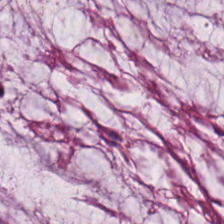Hematoxylin and eosin. The tissue here is mucus.
